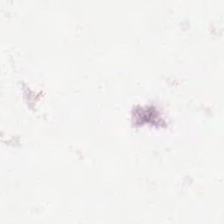Background — no tissue in this field.
